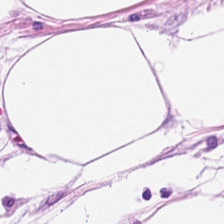Hematoxylin and eosin. Predominantly adipose tissue.
